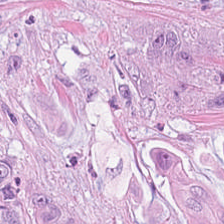H&E — Q: What tissue is shown?
A: Adenocarcinoma.
